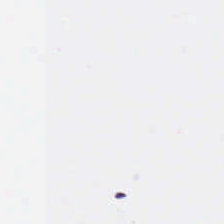Field content: no tissue.
